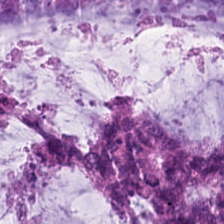20× equivalent magnification · H&E. Predominantly mucus.
